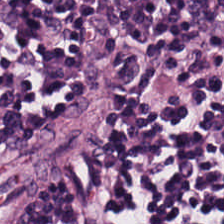Hematoxylin-and-eosin stained section — Finding — lymphocytes.
